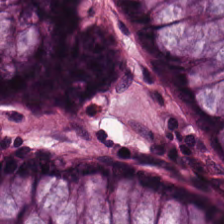Hematoxylin and eosin — Histology — non-neoplastic colon mucosa.
